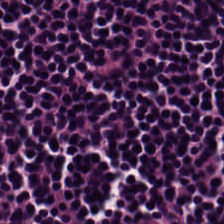Hematoxylin and eosin.
Predominantly lymphocytes.
